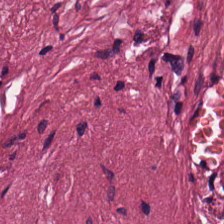Stain: H&E.
Tissue: tumor stroma.
